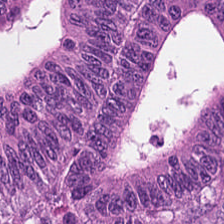H&E.
This patch shows adenocarcinoma.
